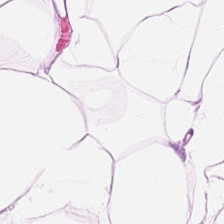Hematoxylin and eosin — Impression → adipose.
